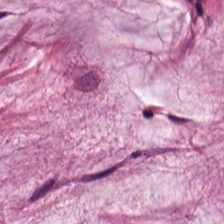Hematoxylin-and-eosin stained section.
Predominant tissue = mucus.
